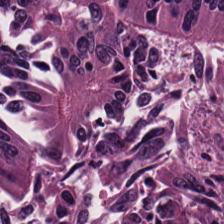Hematoxylin-and-eosin stained section. FFPE. {"tissue_type": "colorectal adenocarcinoma"}
